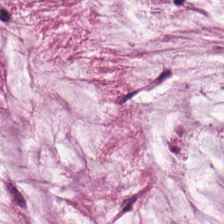Impression → mucus.
